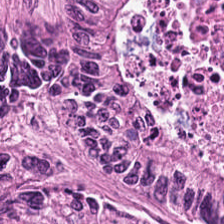Hematoxylin-and-eosin stained section. FFPE — This field is malignant epithelium.
